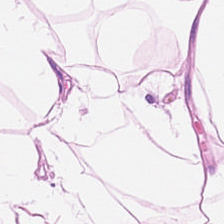H&E-stained tissue section; 224×224 px tile. Tissue class — adipose.
